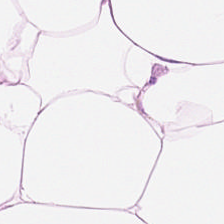0.5 microns per pixel; hematoxylin and eosin; brightfield.
Tissue type — adipose tissue.
